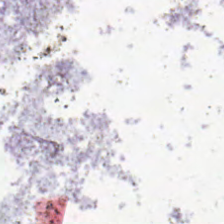Hematoxylin and eosin · 0.5 µm/px. The field content is background (no tissue).
